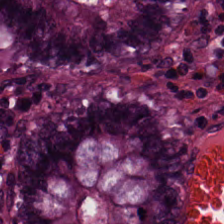Q: Identify the tissue.
A: The field shows non-neoplastic colon mucosa.
